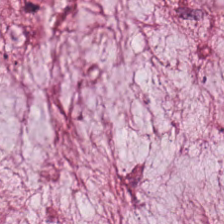Hematoxylin and eosin — The tissue type is mucus.
